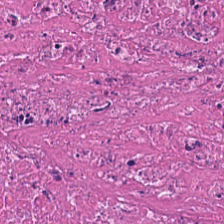224×224 pixel tile; H&E; FFPE. The tissue here is debris.
